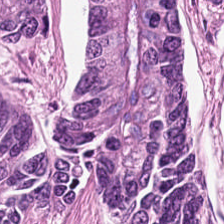Hematoxylin-and-eosin stained section. This patch shows colorectal adenocarcinoma.
